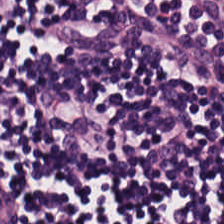This field is lymphoid infiltrate.
